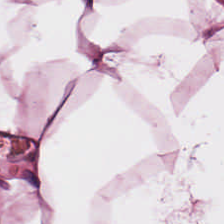FFPE tissue section · H&E-stained tissue section — Tissue = adipose tissue.
